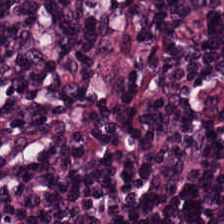H&E stain.
The predominant tissue is lymphocytic infiltrate.
